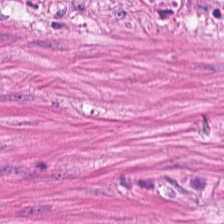Hematoxylin and eosin · FFPE tissue section.
Tissue class — smooth-muscle tissue.
